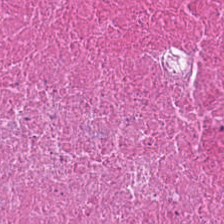Hematoxylin and eosin · formalin-fixed paraffin-embedded section · WSI patch.
Finding — cellular debris.
